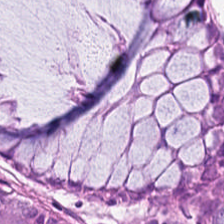The tissue here is normal colonic mucosa.
